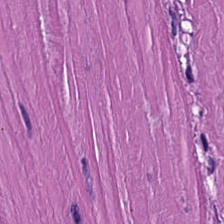Formalin-fixed paraffin-embedded section; brightfield microscopy; hematoxylin-and-eosin stained section — Impression → smooth-muscle tissue.
